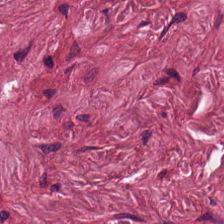H&E stain. FFPE tissue section.
The predominant tissue is tumor stroma.
